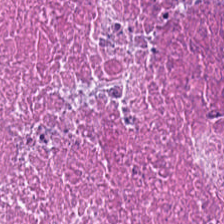Stain: hematoxylin and eosin.
Preparation: formalin-fixed paraffin-embedded section.
Tissue type: necrotic debris.
